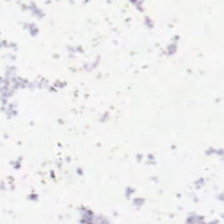Q: What is shown here?
A: It is empty background.
